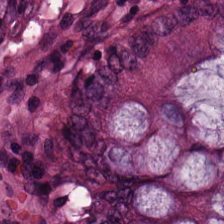H&E stain. Brightfield microscopy. FFPE — Impression — normal colonic mucosa.
